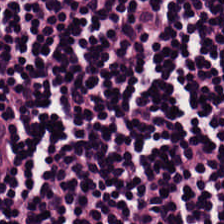Q: What tissue type is shown here?
A: It is lymphocytic infiltrate.
